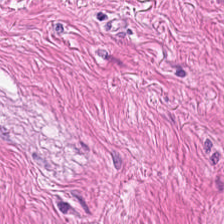FFPE. Hematoxylin-and-eosin stained section — The predominant tissue is muscularis.
